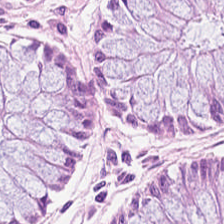20× equivalent magnification. H&E stain.
Predominantly non-neoplastic colon mucosa.
